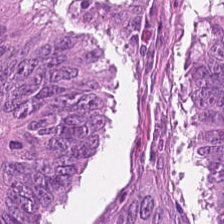Finding — colorectal adenocarcinoma.
